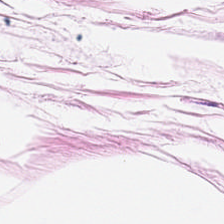Hematoxylin and eosin.
Q: Classify this patch.
A: This is fat tissue.
